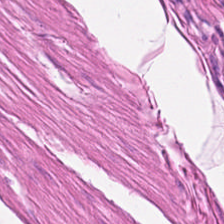This field is smooth-muscle tissue.
